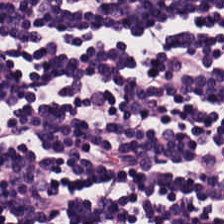0.5 microns per pixel · H&E. Lymphocytic infiltrate.
